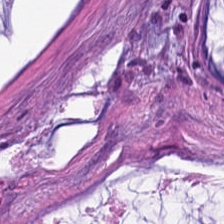Hematoxylin and eosin; 0.5 microns per pixel.
Finding — mucin.
